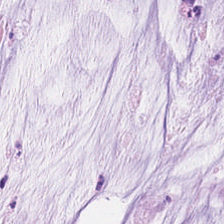Hematoxylin-and-eosin section: mucin.
